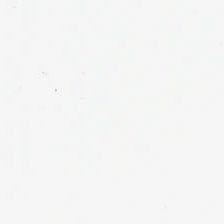H&E. Histology — empty background.
